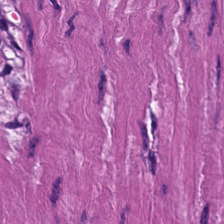Hematoxylin-and-eosin stained section.
This patch shows muscularis.
